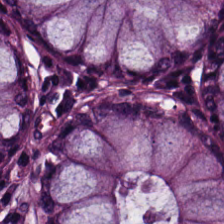Whole-slide-image patch · H&E stain · 224×224 px tile.
This patch shows non-neoplastic colon mucosa.
